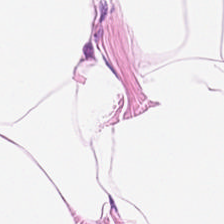H&E-stained tissue section — Predominantly adipose.
